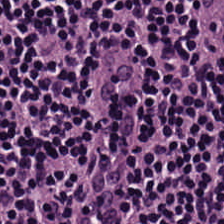H&E · 224×224 px patch. Tissue class: lymphocytes.
